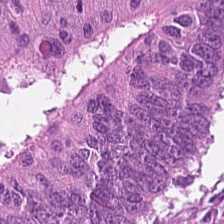H&E stain.
Q: What is shown in this field?
A: Tumor epithelium.
